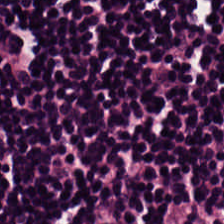Finding → lymphocytic infiltrate.
